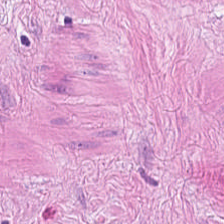Histology — muscularis.
